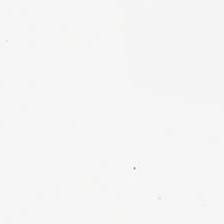Background.
